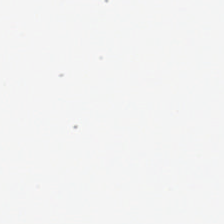H&E-stained tissue section.
No tissue present; background only.
